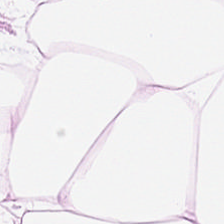Hematoxylin and eosin. 20× equivalent magnification. Brightfield microscopy. Q: What is shown in this field?
A: It is fat tissue.
